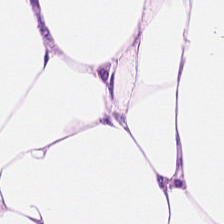Hematoxylin and eosin; formalin-fixed paraffin-embedded section — Predominantly adipose.
